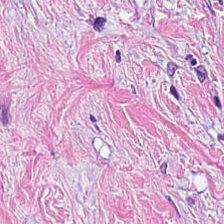Hematoxylin-and-eosin stained section. Q: What is shown here?
A: Tumor-associated stroma.
